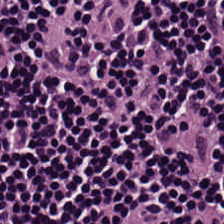H&E.
The tissue class is lymphoid infiltrate.
